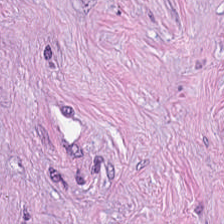Stain: H&E.
Resolution: 0.5 µm/px.
Tissue: tumor stroma.
